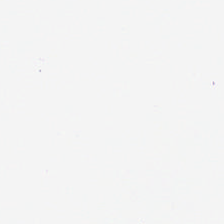Q: What is shown here?
A: The field shows no tissue.
